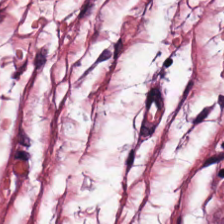H&E-stained tissue section showing tumor-associated stroma.
